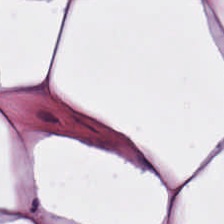Hematoxylin and eosin — Adipocytes.
